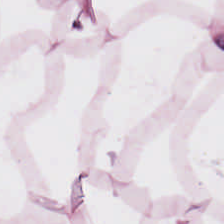Tissue class: adipose tissue.
